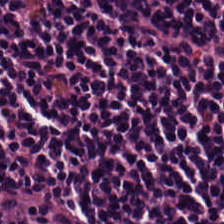The tissue here is lymphocytes.
